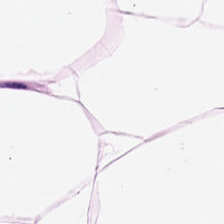The tissue class is adipose.
